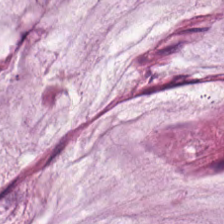FFPE tissue section · brightfield microscopy · H&E — Showing mucus.
